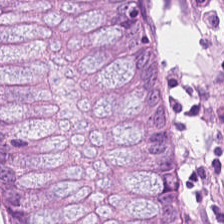H&E stain.
This field is normal colonic mucosa.
